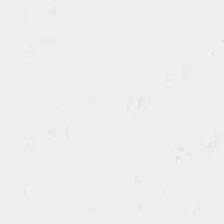FFPE tissue section. H&E.
The classification is background (no tissue).
